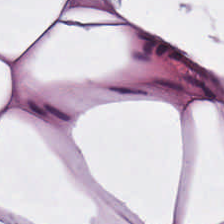H&E stain — This patch shows adipose.
